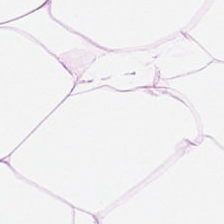Stain: H&E stain.
Predominant tissue: adipocytes.
